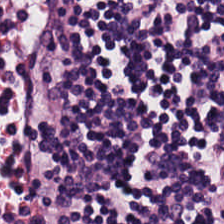Hematoxylin and eosin.
Q: What is shown in this field?
A: The field shows lymphocytes.
